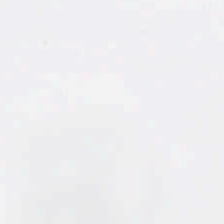Q: What is shown here?
A: It is background.
